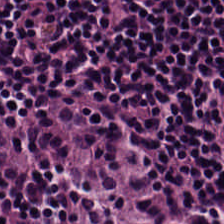H&E; 224×224 px patch — {"tissue_type": "lymphocyte aggregate"}
